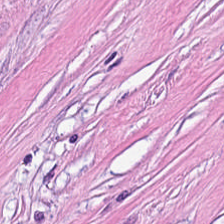20× equivalent magnification · H&E. The tissue here is desmoplastic stroma.
